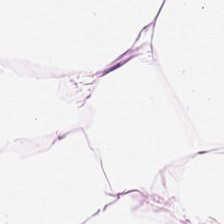Stain: H&E stain.
Predominant tissue: adipose tissue.
